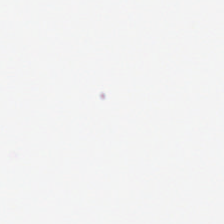Content = no tissue.
